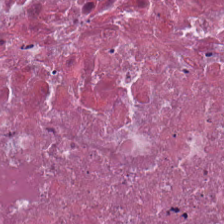Hematoxylin and eosin. {"tissue_type": "necrotic debris"}
